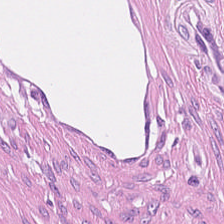H&E. The predominant tissue is desmoplastic stroma.
